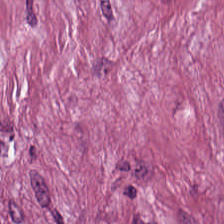Predominant tissue: cancer-associated stroma.
